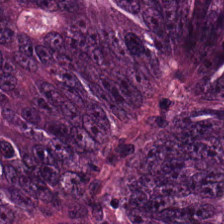H&E stain — The predominant tissue is adenocarcinoma.
